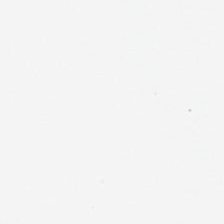Stain: H&E.
Acquisition: brightfield.
Preparation: FFPE.
Field content: empty background.
